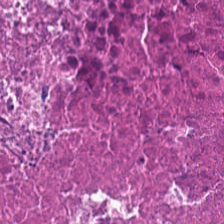Hematoxylin-and-eosin stained section.
The classification is cellular debris.
